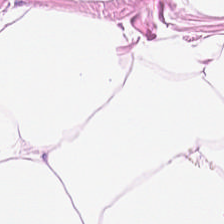224×224 pixel tile · H&E.
Histology — adipose.
